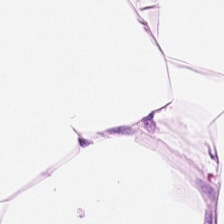Hematoxylin-and-eosin section: adipocytes.
